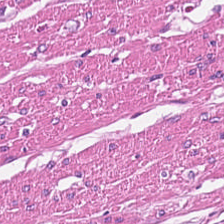Hematoxylin-and-eosin stained section. Whole-slide-image patch.
Histology — smooth-muscle tissue.
